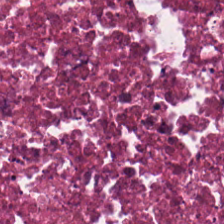H&E stain.
Predominant tissue — necrotic debris.
